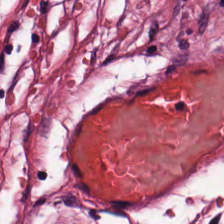H&E-stained tissue section. Showing cancer-associated stroma.
